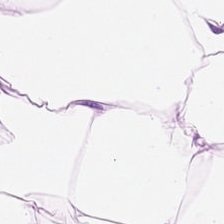H&E-stained tissue section — Adipose tissue.
